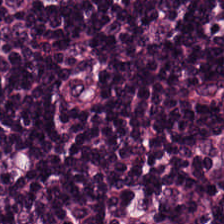Hematoxylin and eosin.
This patch shows lymphocyte aggregate.
